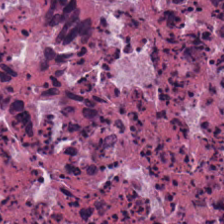WSI patch; H&E-stained tissue section; 0.5 microns per pixel — Classification = cellular debris.
